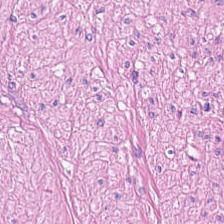Hematoxylin-and-eosin stained section. {"tissue_type": "smooth-muscle tissue"}
